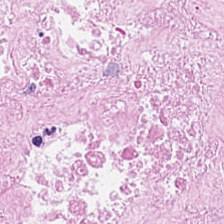This patch shows cellular debris.
